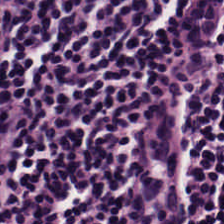Hematoxylin and eosin.
Finding → lymphocyte aggregate.
